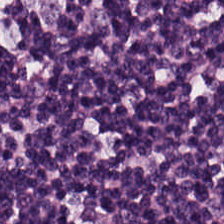H&E-stained tissue section. This field is lymphoid infiltrate.
